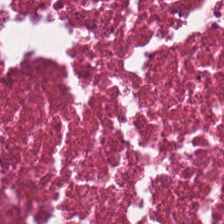Brightfield · hematoxylin and eosin.
Finding → debris.
